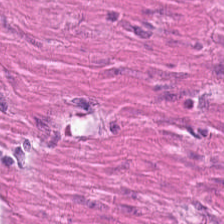Q: What does this patch show?
A: It is smooth muscle.
